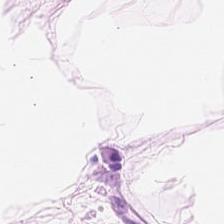Adipose.
